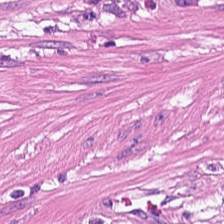H&E stain · formalin-fixed paraffin-embedded section — The tissue is smooth muscle.
